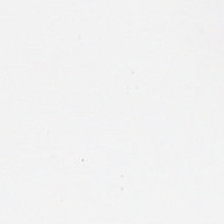H&E · 224×224 px tile · FFPE.
This field is background (no tissue).
